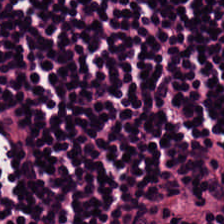Impression → lymphocytic infiltrate.
